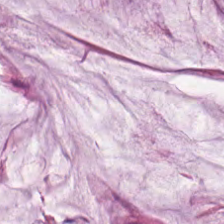Tissue type: extracellular mucin.
